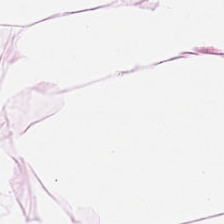H&E stain. 0.5 µm/px. Adipose tissue.
